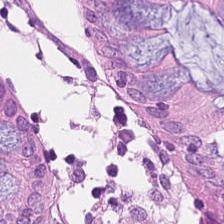H&E stain — Q: What is the predominant tissue type?
A: The field shows non-neoplastic colon mucosa.
